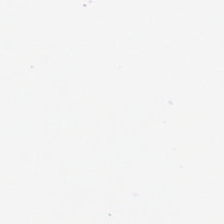Field content — background.
